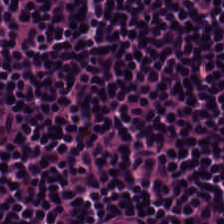Predominantly lymphocyte aggregate.
